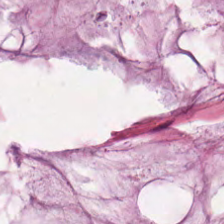The tissue here is mucin.
